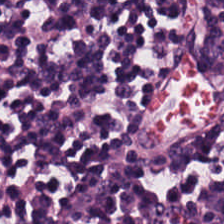H&E-stained tissue section.
Q: Identify the tissue.
A: It is lymphoid infiltrate.
